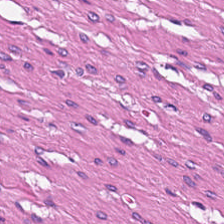224×224 pixel tile. H&E-stained tissue section. Brightfield microscopy. Tissue type = smooth muscle.
